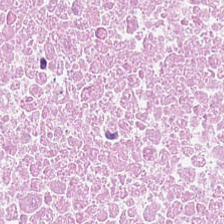Tissue — necrotic debris.
